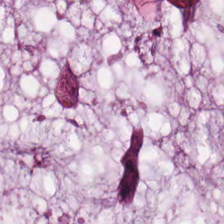H&E-stained tissue section — Q: What is the predominant tissue type?
A: The field shows extracellular mucin.
